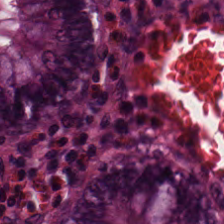Hematoxylin and eosin.
Predominantly non-neoplastic colon mucosa.
